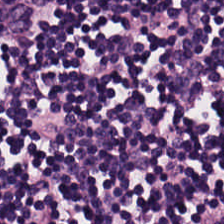Predominant tissue = lymphoid infiltrate.
